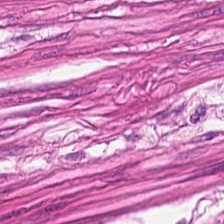Hematoxylin and eosin.
Predominant tissue — smooth-muscle tissue.
